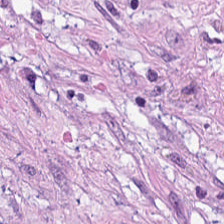H&E — tumor stroma.
